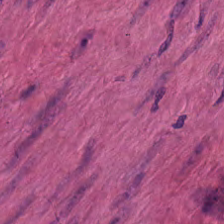Stain: H&E.
Classification: smooth-muscle tissue.
